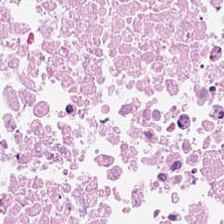H&E-stained tissue section; 224×224 pixel tile; WSI patch — Showing cellular debris.
